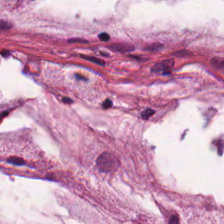Stain: H&E-stained tissue section.
Tissue: mucin.
